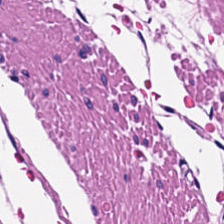H&E stain.
Tissue class: muscularis.
